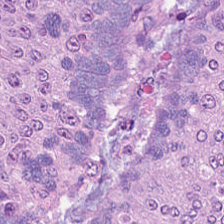Hematoxylin and eosin. This patch shows colorectal adenocarcinoma epithelium.
